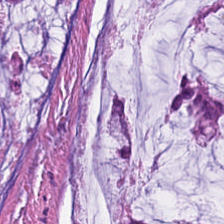H&E-stained tissue section.
Predominantly mucin.
